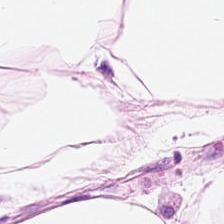Hematoxylin and eosin. Q: Classify this patch.
A: It is fat tissue.
